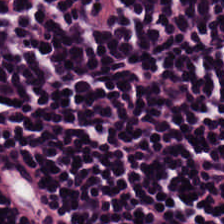H&E-stained tissue section.
The tissue here is lymphoid infiltrate.
